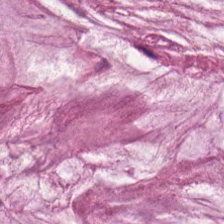0.5 µm/px · H&E stain — Q: What tissue is shown?
A: Mucus.
